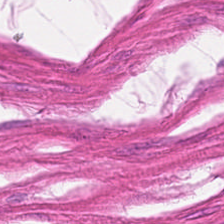H&E stain; brightfield microscopy. {"tissue_type": "muscularis"}
